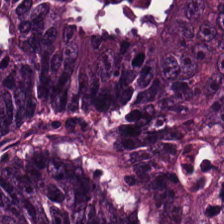Stain: hematoxylin-and-eosin stained section.
Predominant tissue: colorectal adenocarcinoma.
